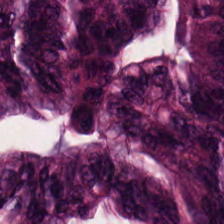H&E stain — Classification: colorectal adenocarcinoma.
